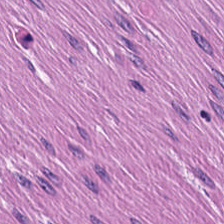H&E; 224×224 pixel tile. Histology — smooth muscle.
